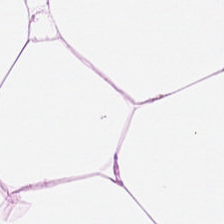Hematoxylin-and-eosin stained section. Predominantly fat tissue.
